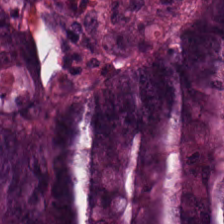224×224 pixel tile. FFPE tissue section. Hematoxylin-and-eosin stained section — Tissue: adenocarcinoma.
